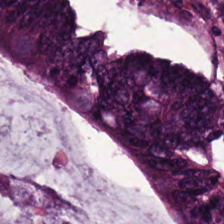H&E — tumor epithelium.
